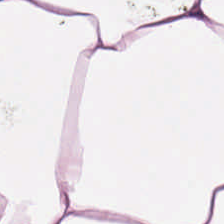Formalin-fixed paraffin-embedded section; hematoxylin and eosin; 224×224 pixel tile. Adipocytes.
